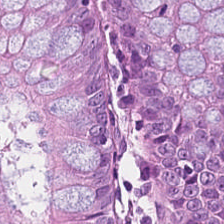Hematoxylin-and-eosin stained section. Q: What does this patch show?
A: The field shows normal colonic mucosa.
